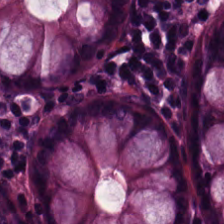H&E stain; brightfield microscopy. Q: Classify this patch.
A: It is benign colonic mucosa.
